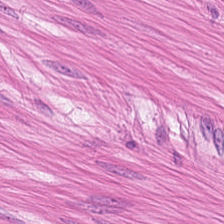Hematoxylin and eosin — Predominant tissue — smooth-muscle tissue.
